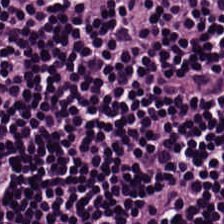Classification = lymphocyte aggregate.
